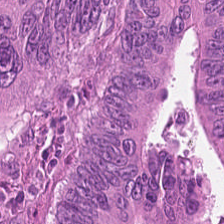{"tissue_type": "adenocarcinoma"}
